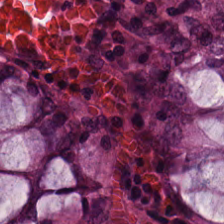Finding — normal colonic mucosa.
